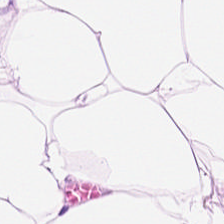Predominantly adipose tissue.
